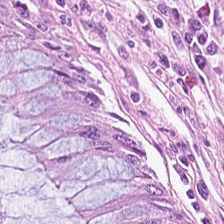H&E stain.
Q: What is the predominant tissue type?
A: Normal colon mucosa.
